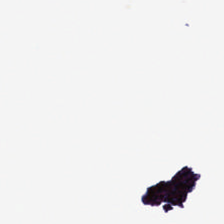H&E. Content = background (no tissue).
